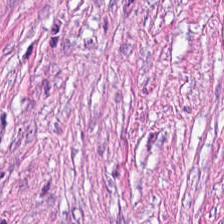H&E; 224×224 px tile. Tissue class: desmoplastic stroma.
